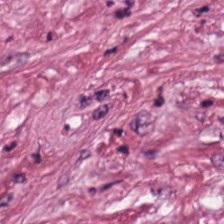Hematoxylin and eosin; brightfield — {"tissue_type": "desmoplastic stroma"}
